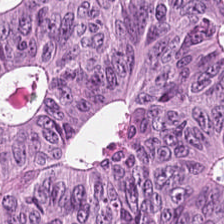Histology — colorectal adenocarcinoma.
